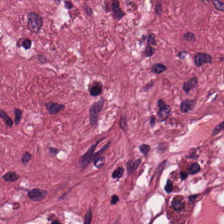H&E-stained tissue section showing tumor-associated stroma.
